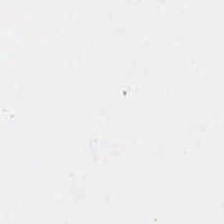0.5 microns per pixel. H&E — Histology → background.
